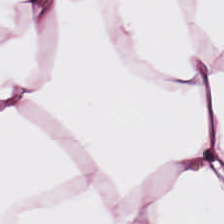Stain: H&E-stained tissue section.
Resolution: 0.5 microns per pixel.
Classification: adipocytes.
